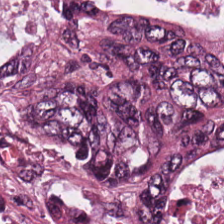Hematoxylin-and-eosin stained section. {"tissue_type": "colorectal adenocarcinoma"}
